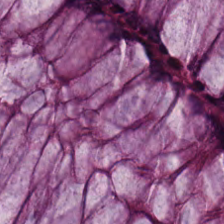Hematoxylin-and-eosin stained section · 20× equivalent magnification — Predominantly benign colonic mucosa.
